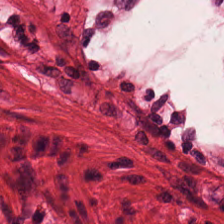224×224 pixel tile; H&E stain; FFPE tissue section.
{"tissue_type": "muscularis"}
